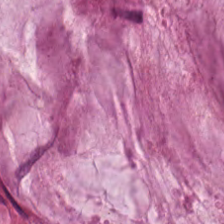Hematoxylin and eosin. Tissue class = mucus.
